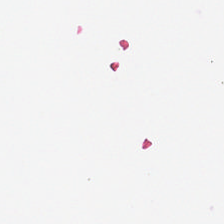Classification — background (no tissue).
